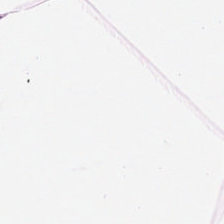The predominant tissue is fat tissue.
